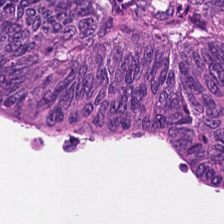H&E patch showing tumor epithelium.
